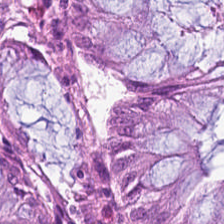Hematoxylin and eosin — Histology — non-neoplastic colon mucosa.
